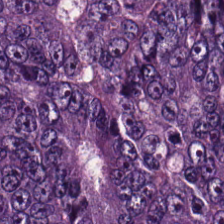224×224 px tile; formalin-fixed paraffin-embedded section; H&E stain — Q: What tissue is shown?
A: Colorectal adenocarcinoma epithelium.
